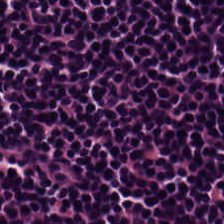H&E.
Tissue class = lymphocytes.
